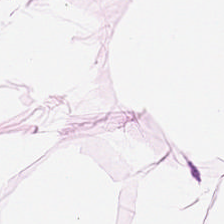Hematoxylin and eosin — Classification: adipocytes.
